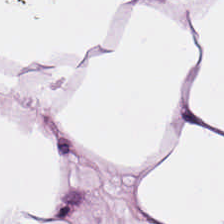Brightfield microscopy · hematoxylin and eosin — Impression — fat tissue.
